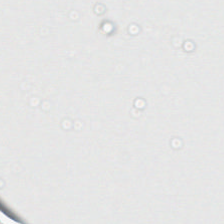The classification is background.
